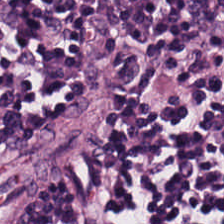Hematoxylin-and-eosin stained section — The predominant tissue is lymphocytic infiltrate.
